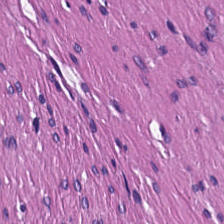Hematoxylin-and-eosin stained section — Q: What does this patch show?
A: Smooth-muscle tissue.
